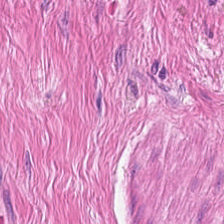Hematoxylin-and-eosin section: smooth-muscle tissue.
